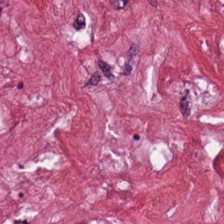This field is cancer-associated stroma.
